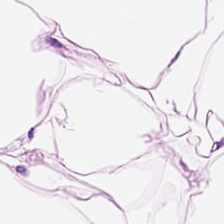FFPE tissue section; H&E-stained tissue section; 224×224 px patch. Tissue = adipocytes.
